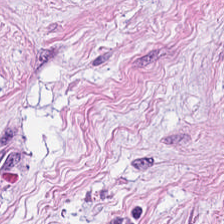0.5 µm per pixel; 224×224 px tile; H&E stain. Q: What tissue is shown?
A: Tumor stroma.
